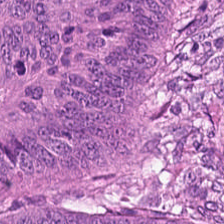0.5 µm/px; H&E-stained tissue section. The predominant tissue is malignant epithelium.
